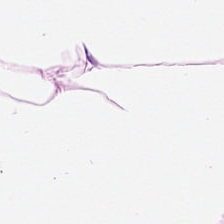H&E stain. 20× equivalent magnification. Q: Classify this patch.
A: This is adipose tissue.
